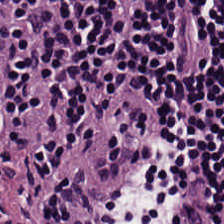FFPE tissue section · hematoxylin and eosin.
Predominantly lymphocyte aggregate.
